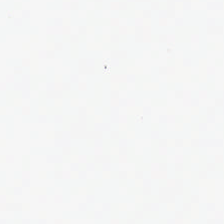Hematoxylin and eosin.
Content = empty background.
